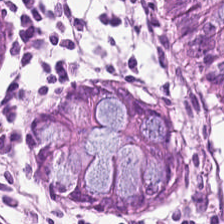Hematoxylin and eosin. Brightfield. Histology — non-neoplastic colon mucosa.
